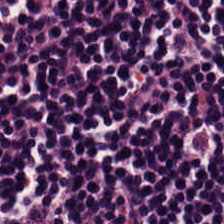Hematoxylin-and-eosin stained section. 20× equivalent magnification. Tissue type = lymphocytic infiltrate.
